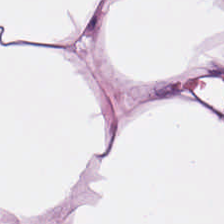Hematoxylin-and-eosin stained section · 224×224 pixel tile. Finding → fat tissue.
